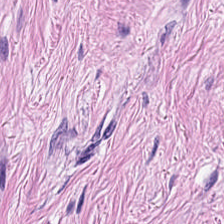H&E stain; 0.5 microns per pixel. The predominant tissue is tumor-associated stroma.
